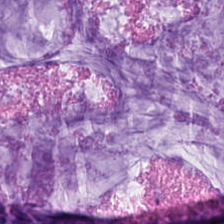Hematoxylin and eosin — {"tissue_type": "mucin"}
